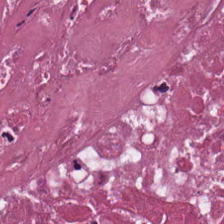Hematoxylin-and-eosin stained section — Q: Classify this patch.
A: It is cellular debris.
